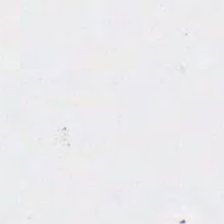224×224 pixel tile. 20× equivalent magnification. H&E-stained tissue section.
No tissue present; background only.
